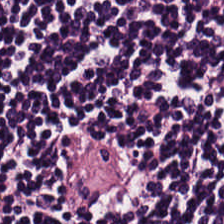Predominantly lymphocytes.
